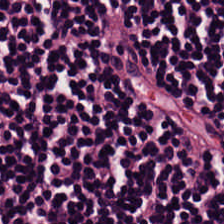Q: What is shown in this field?
A: The field shows lymphocyte aggregate.
